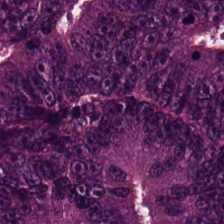Hematoxylin-and-eosin stained section. Tissue type: malignant epithelium.
